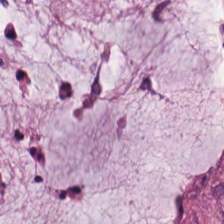This patch shows extracellular mucin.
